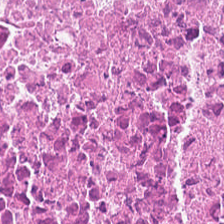H&E-stained tissue section; brightfield — Tissue class — debris.
